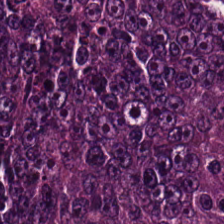FFPE · hematoxylin and eosin — This field is colorectal adenocarcinoma.
